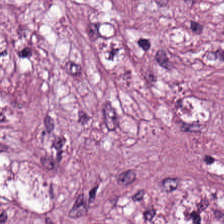H&E stain · FFPE.
Histology → cancer-associated stroma.
